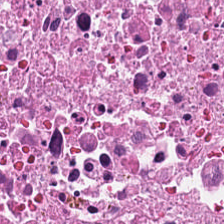Tissue type = necrotic debris.
